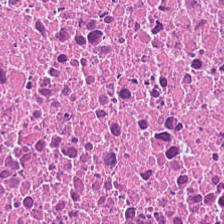0.5 µm per pixel · WSI patch · H&E stain. Q: Classify this patch.
A: Cellular debris.
